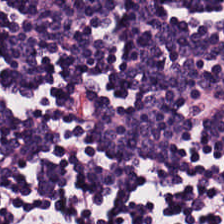H&E; 224×224 pixel tile; 0.5 µm/px.
The tissue here is lymphocytes.
